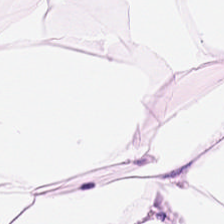20× equivalent magnification; H&E; brightfield microscopy.
Showing adipose.
